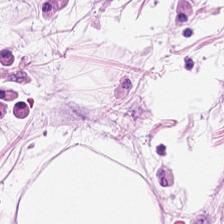224×224 px patch. Hematoxylin-and-eosin stained section — Q: What tissue is shown?
A: The field shows fat tissue.
